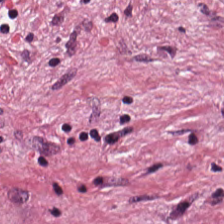Stain: hematoxylin and eosin.
Resolution: 0.5 µm per pixel.
Tissue type: desmoplastic stroma.
